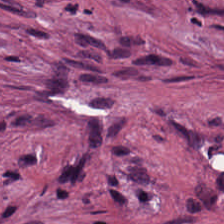20× equivalent magnification; H&E. The predominant tissue is cancer-associated stroma.
